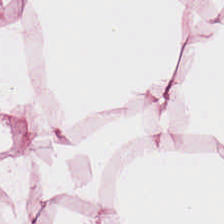Hematoxylin and eosin.
Histology — adipose.
